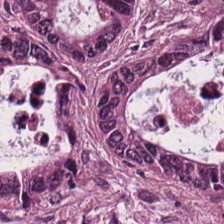The predominant tissue is colorectal adenocarcinoma.
